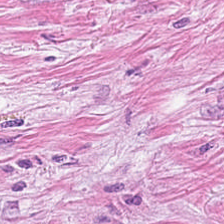Q: Classify this patch.
A: This is desmoplastic stroma.
